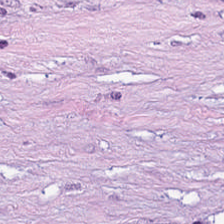The tissue is tumor-associated stroma.
